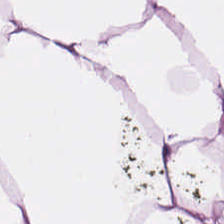H&E stain — Q: Classify this patch.
A: This is adipose tissue.
